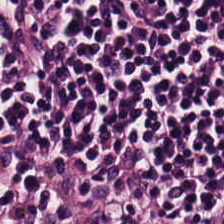Whole-slide-image patch; hematoxylin and eosin.
Showing lymphoid infiltrate.
